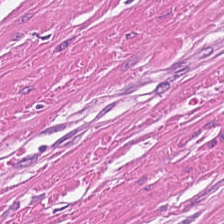Hematoxylin-and-eosin stained section. Finding → muscularis.
